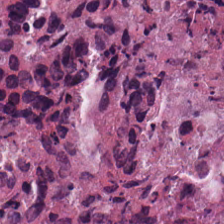Hematoxylin-and-eosin stained section.
Predominantly debris.
